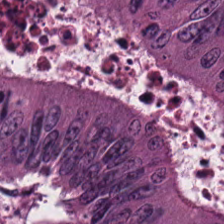H&E-stained tissue section — Classification = colorectal adenocarcinoma epithelium.
